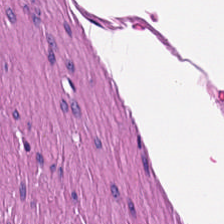Q: What does this patch show?
A: Smooth muscle.
